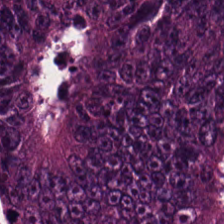H&E stain. 224×224 px patch.
Q: What is shown in this field?
A: Colorectal adenocarcinoma.
